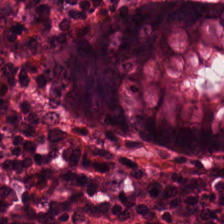Hematoxylin-and-eosin stained section. 20× equivalent magnification. Histology — normal colon mucosa.
